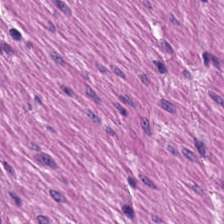224×224 pixel tile · hematoxylin and eosin — Smooth-muscle tissue.
